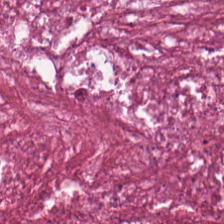224×224 px tile · H&E stain. This patch shows cellular debris.
